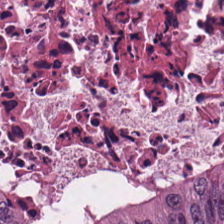Hematoxylin-and-eosin stained section — Q: What is the predominant tissue type?
A: The field shows cellular debris.
